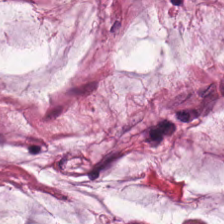Mucin.
